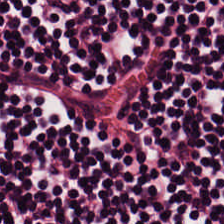H&E stain. Lymphocytic infiltrate.
